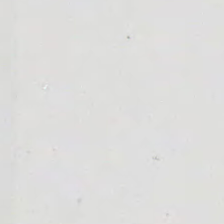H&E. Background (no tissue).
